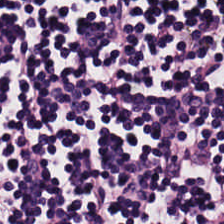20× equivalent magnification; hematoxylin and eosin — The tissue here is lymphocytes.
